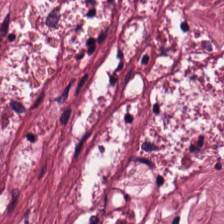H&E — The tissue here is tumor stroma.
